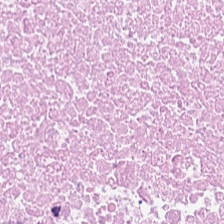224×224 px patch. H&E stain.
This field is debris.
